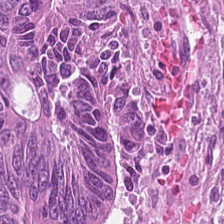Formalin-fixed paraffin-embedded section. H&E stain — Q: What type of tissue is this?
A: Adenocarcinoma.
